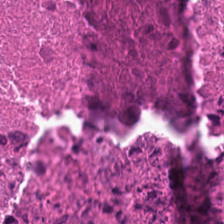Predominant tissue — cellular debris.
